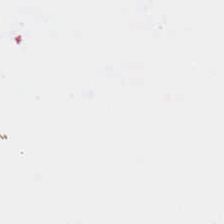Whole-slide-image patch. 224×224 pixel tile. Hematoxylin and eosin.
This patch shows empty background.
